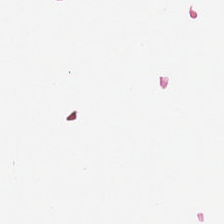H&E; 20× equivalent magnification — Content: no tissue.
